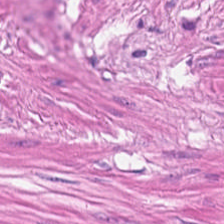H&E-stained tissue section · 0.5 microns per pixel.
Impression — smooth muscle.
